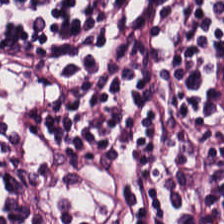Predominantly lymphocytes.
